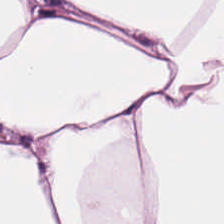Stain: hematoxylin-and-eosin stained section.
Classification: adipocytes.
